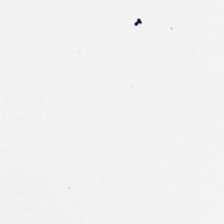Stain: H&E.
Content: no tissue.
